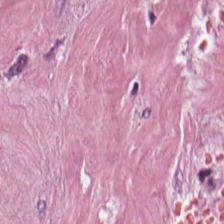H&E stain; 224×224 pixel tile. Q: What is shown here?
A: The field shows tumor stroma.
